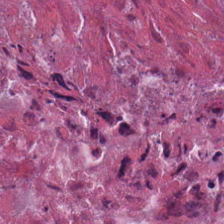224×224 pixel tile · whole-slide-image patch · hematoxylin and eosin — The tissue here is cellular debris.
